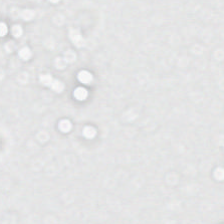The content is background.
